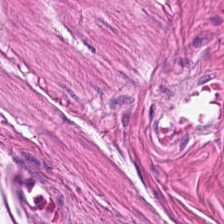Tissue = muscularis.
